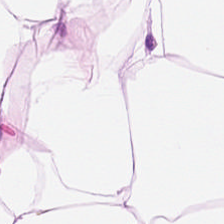H&E. Q: What is shown in this field?
A: Fat tissue.
